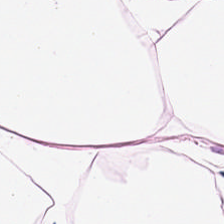WSI patch. 0.5 µm per pixel. Hematoxylin-and-eosin stained section.
This patch shows adipose.
